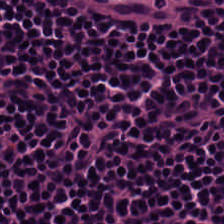Q: What tissue is shown?
A: The field shows lymphocytes.
